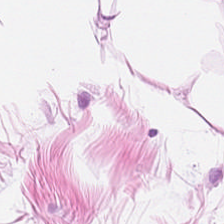0.5 microns per pixel; H&E; brightfield microscopy. {"tissue_type": "adipose tissue"}
